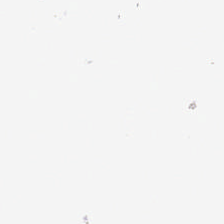Hematoxylin-and-eosin stained section. 20× equivalent magnification. Brightfield microscopy. This patch shows empty background.
